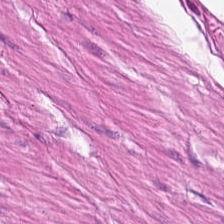Whole-slide-image patch · H&E-stained tissue section. Q: What type of tissue is this?
A: The field shows smooth-muscle tissue.
